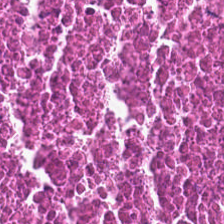FFPE tissue section. H&E stain.
Q: What is shown here?
A: The field shows necrotic debris.
